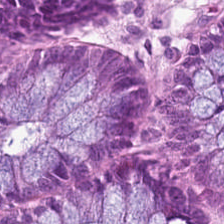224×224 px patch · hematoxylin-and-eosin stained section.
Showing normal colonic mucosa.
